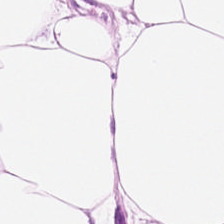Hematoxylin and eosin · 224×224 px tile.
Fat tissue.
